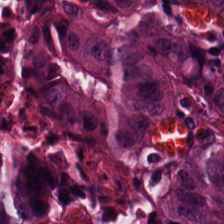H&E stain.
Colorectal adenocarcinoma epithelium.
